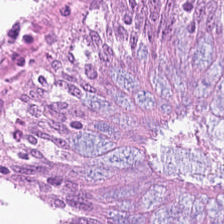Q: Classify this patch.
A: The field shows normal colonic mucosa.
